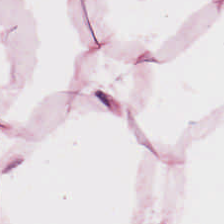Hematoxylin-and-eosin stained section.
Finding → adipose tissue.
